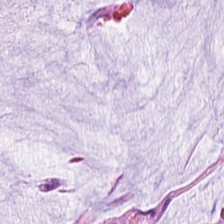Hematoxylin and eosin — Q: What tissue is shown?
A: The field shows mucin.
